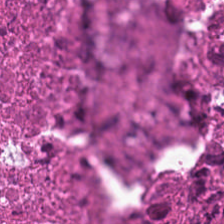Hematoxylin and eosin — Finding → debris.
